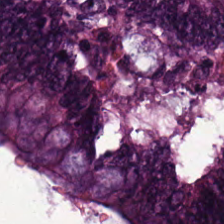Finding → colorectal adenocarcinoma.
